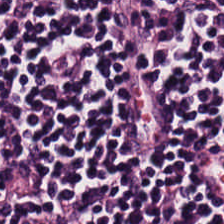H&E — lymphoid infiltrate.
